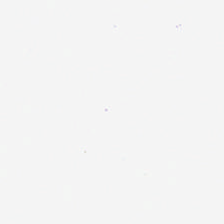20× equivalent magnification; H&E; FFPE tissue section.
Field content: empty background.
